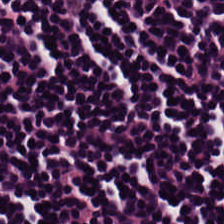Lymphocytes.
